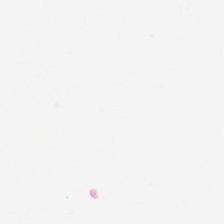{"content": "no tissue"}
